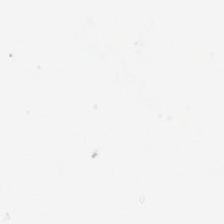224×224 px patch; H&E. Empty field — empty background.
